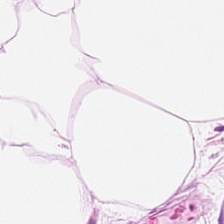The tissue class is adipose tissue.
